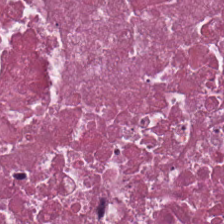H&E-stained tissue section — Predominantly cellular debris.
